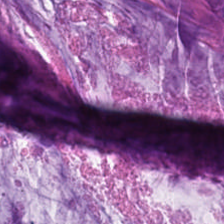Q: What does this patch show?
A: Mucus.
